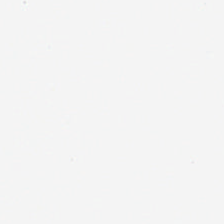Q: What does this patch show?
A: The field shows empty background.
